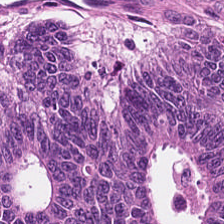Hematoxylin-and-eosin stained section. Impression → malignant epithelium.
